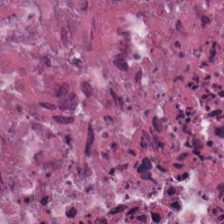The predominant tissue is cellular debris.
